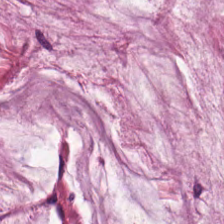Hematoxylin-and-eosin stained section · whole-slide-image patch.
The tissue here is mucus.
